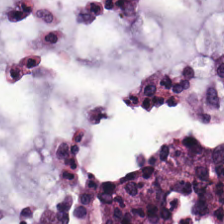H&E; 224×224 pixel tile; WSI patch. The predominant tissue is mucin.
